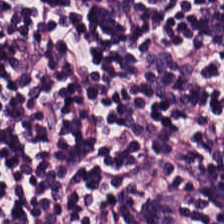Stain: hematoxylin and eosin.
Tissue type: lymphocyte aggregate.
